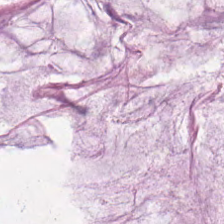Stain: hematoxylin and eosin.
Tissue type: mucus.
